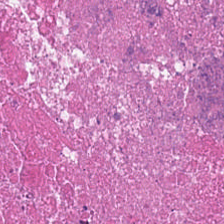Hematoxylin and eosin.
Tissue class — cellular debris.
